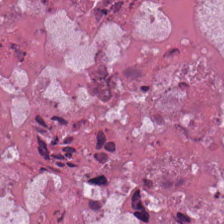H&E-stained tissue section · 0.5 microns per pixel · 224×224 px tile — Classification — necrotic debris.
